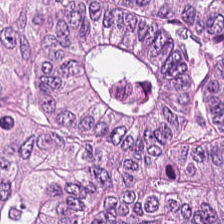0.5 µm per pixel · H&E stain · 224×224 px patch.
Q: What tissue is shown?
A: This is colorectal adenocarcinoma epithelium.
